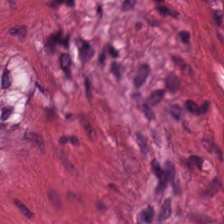Stain: H&E-stained tissue section.
Tissue class: muscularis.
